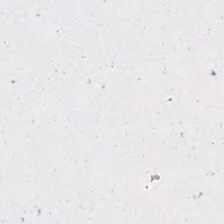H&E-stained tissue section · 20× equivalent magnification.
Background — no tissue in this field.
